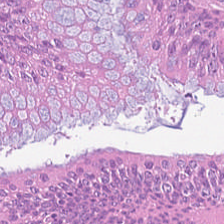H&E-stained tissue section; 0.5 microns per pixel.
Predominantly tumor epithelium.
